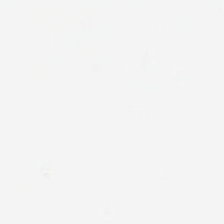H&E stain · 0.5 microns per pixel — Finding → empty background.
